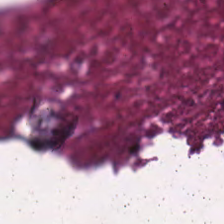Q: What is the predominant tissue type?
A: This is necrotic debris.
